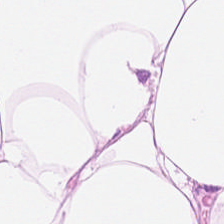224×224 pixel tile. Hematoxylin-and-eosin stained section — This field is adipose tissue.
